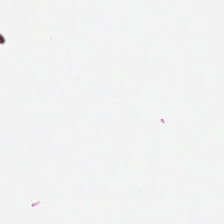Stain: H&E stain.
Acquisition: brightfield microscopy.
Tile size: 224×224 px patch.
Content: empty background.
